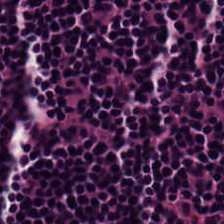H&E; formalin-fixed paraffin-embedded section. Finding — lymphocyte aggregate.
